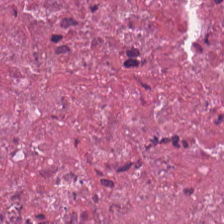H&E-stained tissue section; FFPE tissue section. Q: What tissue type is shown here?
A: This is necrotic debris.
